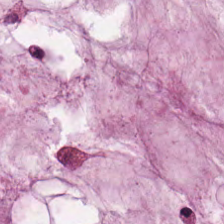224×224 px tile. Hematoxylin-and-eosin stained section. 0.5 µm per pixel. {"tissue_type": "mucin"}
